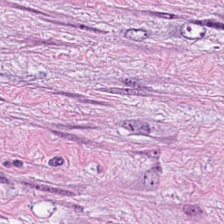0.5 µm/px; H&E stain — Tissue type — cancer-associated stroma.
